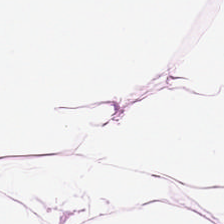H&E-stained tissue section. 0.5 microns per pixel — Predominant tissue — adipose tissue.
